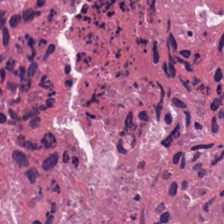Predominant tissue: cellular debris.
